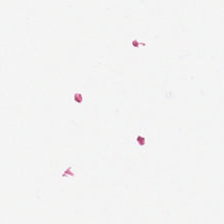Q: Classify this patch.
A: The field shows empty background.
